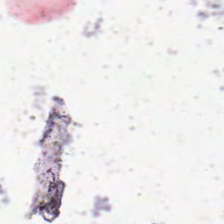H&E-stained tissue section; formalin-fixed paraffin-embedded section.
Impression — background (no tissue).
